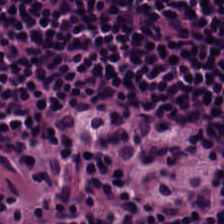Stain: H&E.
Preparation: FFPE tissue section.
Tile size: 224×224 px patch.
Tissue class: lymphocyte aggregate.
